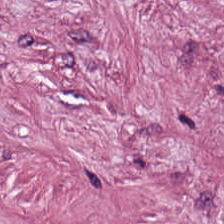This patch shows tumor stroma.
